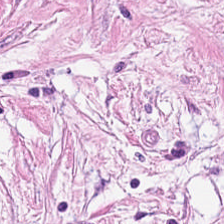H&E-stained tissue section — Tumor-associated stroma.
